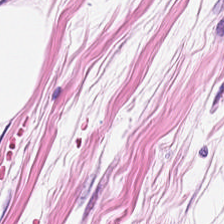Hematoxylin and eosin. Tissue: adipose tissue.
